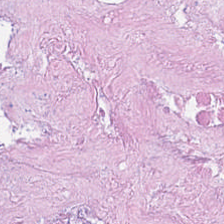Finding → necrotic debris.
